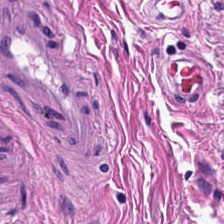Whole-slide-image patch · hematoxylin and eosin — Predominant tissue: muscularis.
